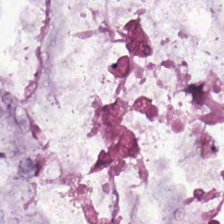H&E-stained tissue section — Impression — extracellular mucin.
